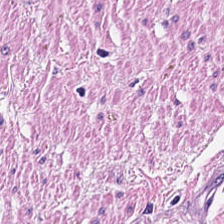Predominantly muscularis.
